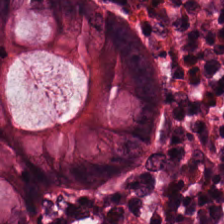Hematoxylin and eosin. Whole-slide-image patch.
Non-neoplastic colon mucosa.
